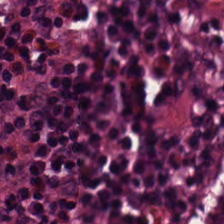224×224 pixel tile · hematoxylin and eosin. This field is normal colon mucosa.
